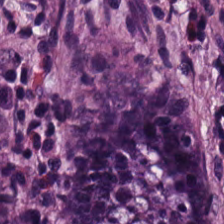H&E. Q: What type of tissue is this?
A: This is normal colon mucosa.
